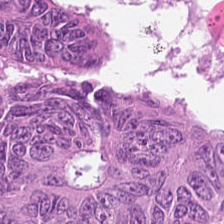Hematoxylin-and-eosin stained section.
The predominant tissue is adenocarcinoma.
